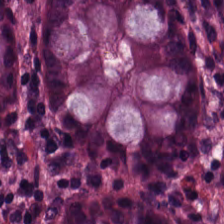Hematoxylin and eosin. 0.5 microns per pixel.
Benign colonic mucosa.
